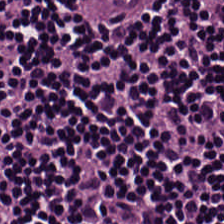H&E.
The tissue here is lymphocytic infiltrate.
